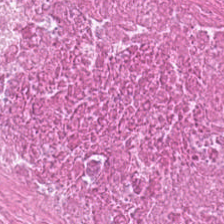Stain: hematoxylin and eosin.
Tile size: 224×224 px tile.
Classification: debris.
